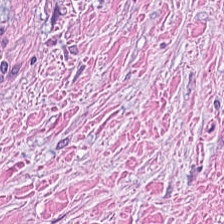Formalin-fixed paraffin-embedded section · H&E. Tissue type: desmoplastic stroma.
